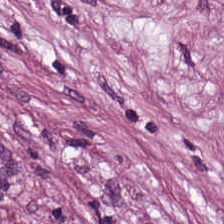Showing desmoplastic stroma.
